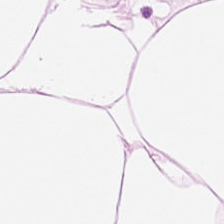Tissue type — adipose.
